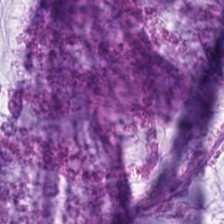Q: What is shown here?
A: The field shows mucus.
